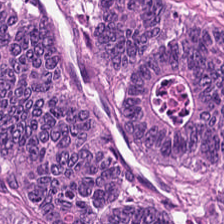Brightfield microscopy · H&E. This patch shows malignant epithelium.
